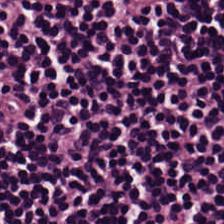Stain: H&E-stained tissue section.
Tissue class: lymphoid infiltrate.
